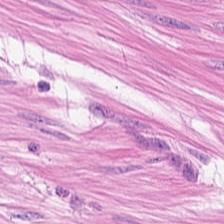FFPE tissue section; H&E; 0.5 microns per pixel. Histology — smooth-muscle tissue.
